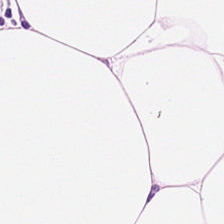Stain: H&E-stained tissue section.
Predominant tissue: adipose.
